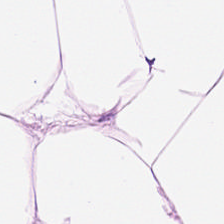H&E stain. The classification is adipose.
